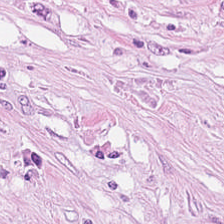0.5 µm/px · hematoxylin-and-eosin stained section · formalin-fixed paraffin-embedded section.
Q: Identify the tissue.
A: It is tumor stroma.
